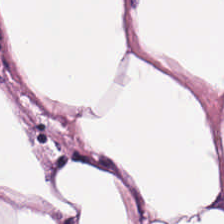{"tissue_type": "adipose tissue"}
